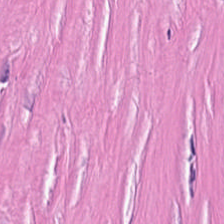H&E-stained tissue section — Q: What tissue type is shown here?
A: This is cancer-associated stroma.
